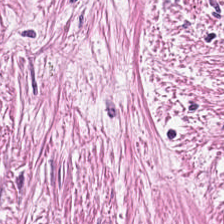H&E — Predominant tissue = tumor-associated stroma.
